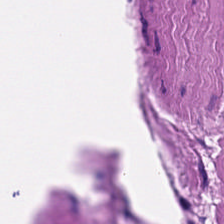224×224 px patch · H&E — {"tissue_type": "smooth muscle"}
